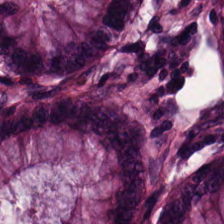H&E-stained tissue section. Showing normal colon mucosa.
